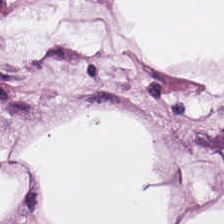Hematoxylin-and-eosin stained section.
This patch shows adipose.
